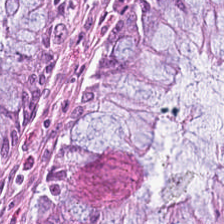H&E stain. Brightfield. Predominantly benign colonic mucosa.
